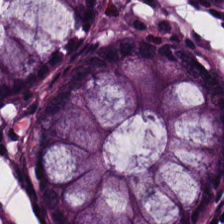224×224 px patch. FFPE. H&E stain — The predominant tissue is normal colonic mucosa.
